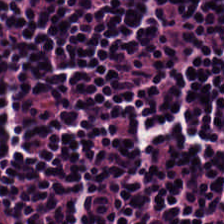Hematoxylin and eosin. This patch shows lymphocyte aggregate.
